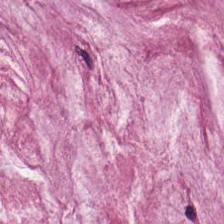Stain: H&E-stained tissue section.
Predominant tissue: mucus.
